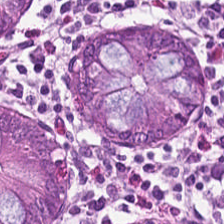H&E stain. This field is benign colonic mucosa.
